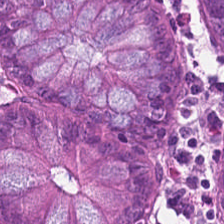Hematoxylin and eosin.
Histology → normal colon mucosa.
